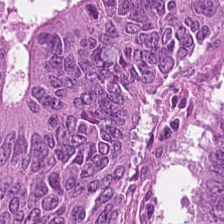H&E stain — Q: What is shown here?
A: The field shows malignant epithelium.
